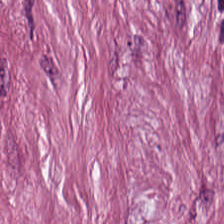H&E stain — This field is tumor stroma.
